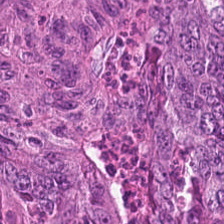Hematoxylin-and-eosin stained section. 224×224 px patch.
Tissue = malignant epithelium.
